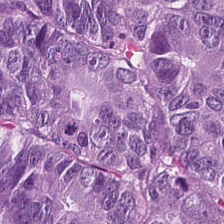Stain: hematoxylin-and-eosin stained section.
Tissue type: colorectal adenocarcinoma epithelium.
